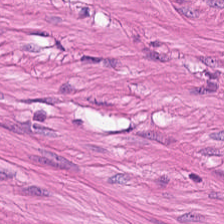224×224 px patch. 0.5 µm/px. Hematoxylin-and-eosin stained section — Tissue type = smooth-muscle tissue.
